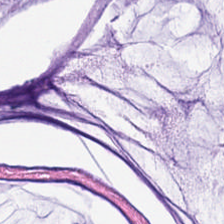The tissue here is mucin.
